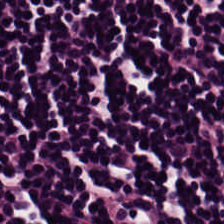H&E stain. The tissue here is lymphoid infiltrate.
